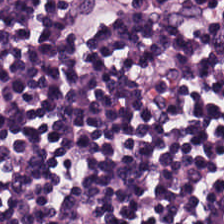Stain: H&E-stained tissue section.
Tissue type: lymphocyte aggregate.
